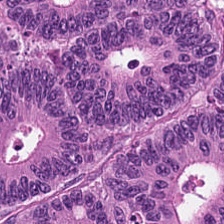H&E-stained tissue section. Q: Identify the tissue.
A: This is adenocarcinoma.
